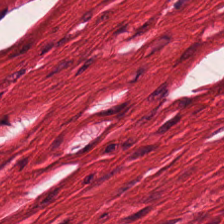224×224 pixel tile; H&E-stained tissue section — Predominantly smooth-muscle tissue.
